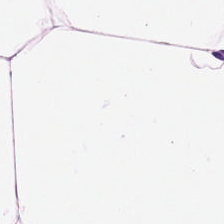This patch shows fat tissue.
